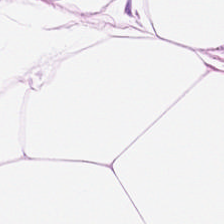Hematoxylin and eosin. The tissue class is fat tissue.
